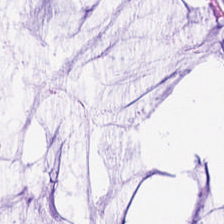Tissue class: mucin.
